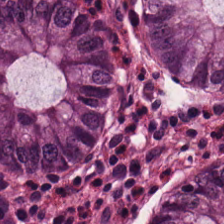Stain: H&E.
Predominant tissue: normal colon mucosa.
